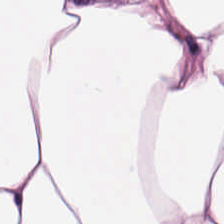H&E stain. WSI patch. Formalin-fixed paraffin-embedded section. Predominantly adipose tissue.
